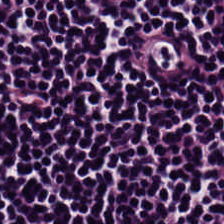Predominant tissue: lymphocyte aggregate.
